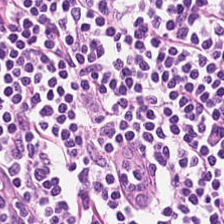Hematoxylin-and-eosin stained section — Predominant tissue — lymphocytic infiltrate.
